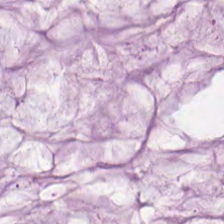224×224 pixel tile · H&E. Tissue class = mucus.
